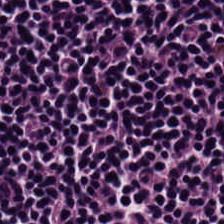Stain: hematoxylin and eosin.
Preparation: formalin-fixed paraffin-embedded section.
Tissue class: lymphocytic infiltrate.
